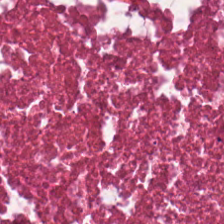FFPE. H&E — Tissue = necrotic debris.
